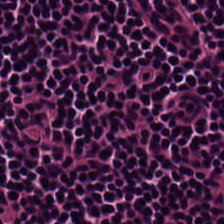H&E-stained tissue section; 20× equivalent magnification; FFPE tissue section. The tissue class is lymphocytic infiltrate.
